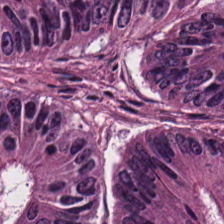H&E — Predominantly malignant epithelium.
